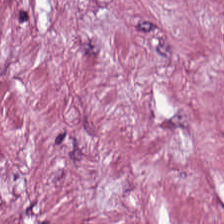Tissue type — desmoplastic stroma.
